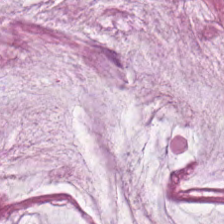H&E stain.
Classification: mucin.
